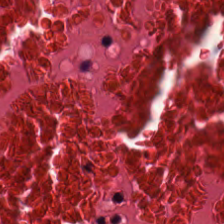H&E · 0.5 microns per pixel. Q: What does this patch show?
A: The field shows debris.
